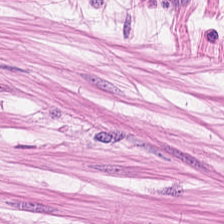Whole-slide-image patch; H&E stain.
Tissue type = muscularis.
